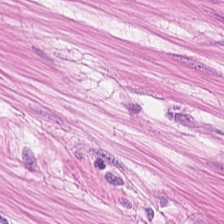20× equivalent magnification; FFPE; H&E-stained tissue section.
Predominantly smooth muscle.
